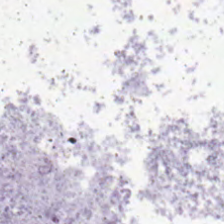Histology → no tissue.
